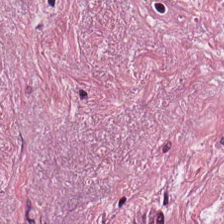H&E-stained tissue section.
This patch shows cancer-associated stroma.
